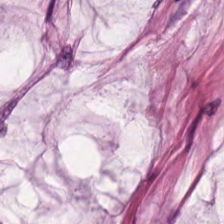Hematoxylin-and-eosin section: mucus.
